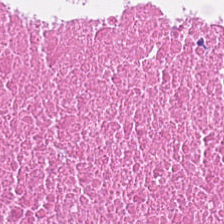H&E · formalin-fixed paraffin-embedded section · 224×224 pixel tile. Showing necrotic debris.
